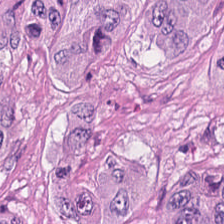224×224 pixel tile. H&E stain — Predominantly colorectal adenocarcinoma epithelium.
